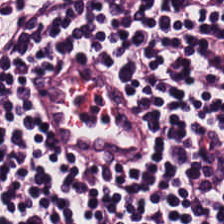20× equivalent magnification · hematoxylin and eosin · FFPE — Q: What type of tissue is this?
A: Lymphocytic infiltrate.
